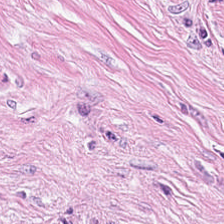Stain: H&E-stained tissue section.
Classification: cancer-associated stroma.
